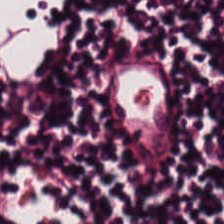Hematoxylin and eosin. The classification is lymphocytes.
